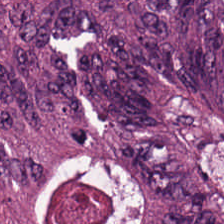0.5 µm/px; FFPE; H&E — Colorectal adenocarcinoma epithelium.
